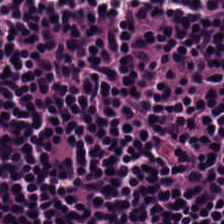The tissue class is lymphocyte aggregate.
